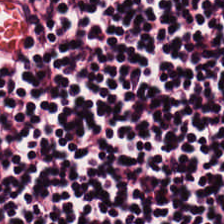Formalin-fixed paraffin-embedded section · hematoxylin-and-eosin stained section.
This patch shows lymphoid infiltrate.
